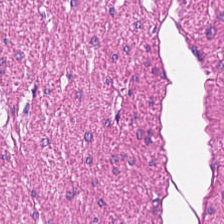0.5 microns per pixel. H&E. This field is smooth-muscle tissue.
